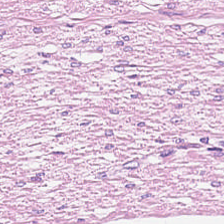H&E.
The tissue here is muscularis.
